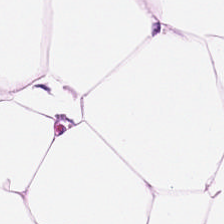Stain: H&E stain.
Preparation: formalin-fixed paraffin-embedded section.
Tissue type: adipose tissue.
